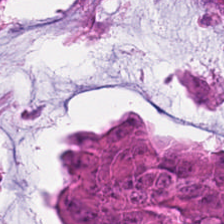H&E-stained tissue section. Impression → tumor epithelium.
